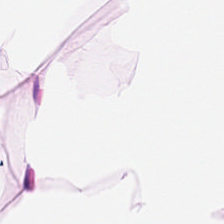Hematoxylin and eosin. {"tissue_type": "adipocytes"}
